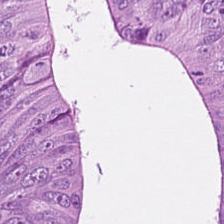H&E stain; brightfield. The predominant tissue is adenocarcinoma.
